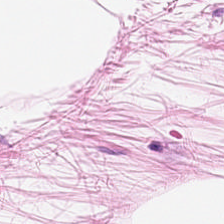H&E; 224×224 px patch; brightfield — Tissue class — adipocytes.
